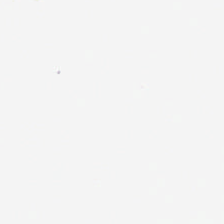224×224 px tile. H&E — {"content": "no tissue"}
